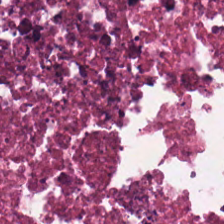Hematoxylin-and-eosin stained section. Q: What does this patch show?
A: This is debris.
